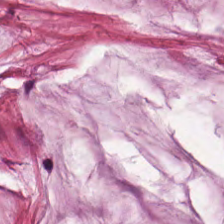Hematoxylin-and-eosin stained section. Predominantly extracellular mucin.
